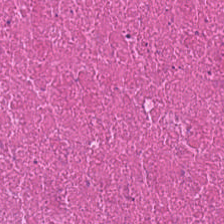The tissue here is debris.
